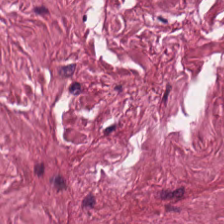FFPE tissue section; H&E stain. The tissue here is desmoplastic stroma.
